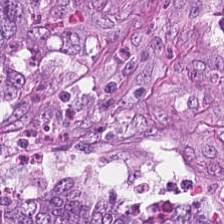Hematoxylin-and-eosin stained section — Showing adenocarcinoma.
